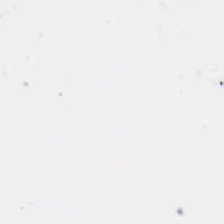Hematoxylin and eosin. Impression — background (no tissue).
